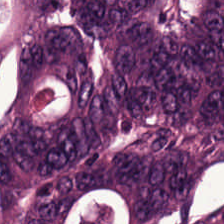FFPE; H&E; 0.5 µm per pixel.
Malignant epithelium.
